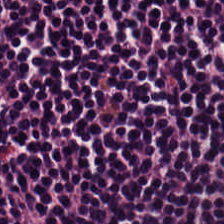Hematoxylin and eosin. 0.5 µm/px — Finding → lymphocytic infiltrate.
